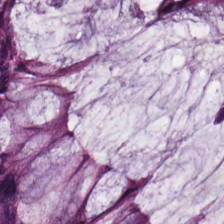H&E-stained tissue section — Q: What is shown in this field?
A: The field shows non-neoplastic colon mucosa.
